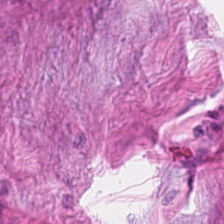H&E-stained tissue section. Q: What is shown in this field?
A: It is tumor-associated stroma.
